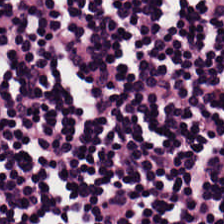Stain: H&E-stained tissue section.
Tissue class: lymphoid infiltrate.
